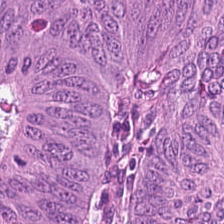Whole-slide-image patch; 224×224 pixel tile; H&E stain — Tissue type: colorectal adenocarcinoma epithelium.
